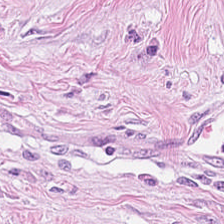Histology → cancer-associated stroma.
